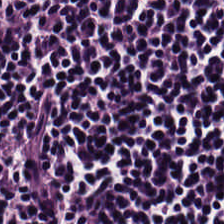Hematoxylin and eosin. Histology → lymphocytic infiltrate.
